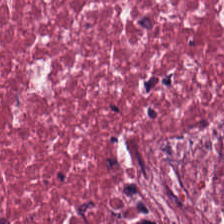Hematoxylin and eosin · 0.5 µm/px — {"tissue_type": "desmoplastic stroma"}
